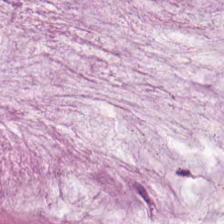0.5 microns per pixel. Hematoxylin-and-eosin stained section. Predominant tissue — mucus.
